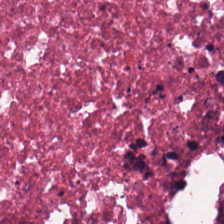H&E-stained section; the field shows necrotic debris.
